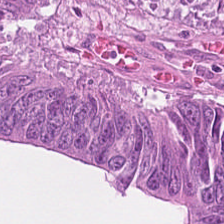H&E.
Showing malignant epithelium.
